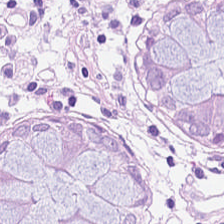H&E stain. Predominantly normal colonic mucosa.
